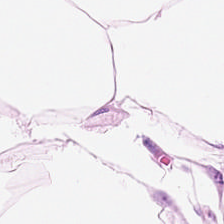Tissue = adipose.
